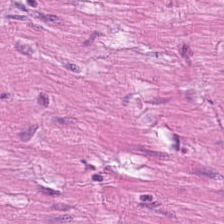H&E stain — Predominantly smooth muscle.
